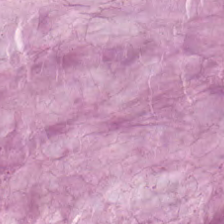Hematoxylin and eosin — Q: What tissue is shown?
A: This is extracellular mucin.
